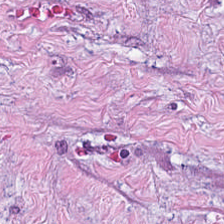Hematoxylin-and-eosin stained section.
{"tissue_type": "cancer-associated stroma"}
